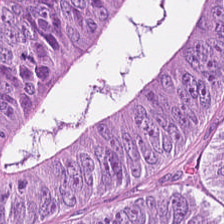H&E-stained tissue section. FFPE — Tissue type — tumor epithelium.
